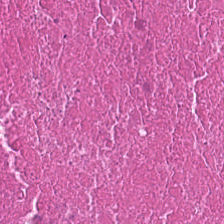Cellular debris.
